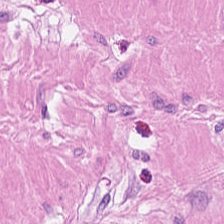Hematoxylin and eosin. Tissue: smooth muscle.
